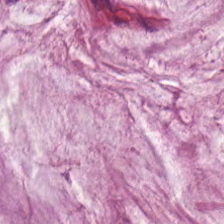Hematoxylin-and-eosin stained section — Predominantly extracellular mucin.
